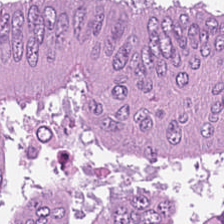H&E-stained tissue section — Tissue type: malignant epithelium.
